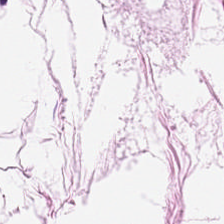0.5 µm/px; H&E stain; FFPE — The predominant tissue is adipose tissue.
